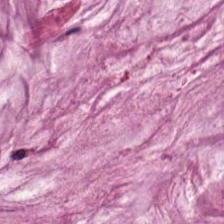Stain: H&E stain.
Preparation: FFPE.
Tile size: 224×224 pixel tile.
Tissue: mucin.
